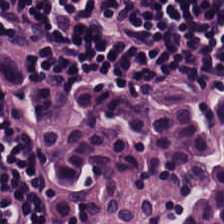H&E-stained section; the field shows lymphoid infiltrate.
